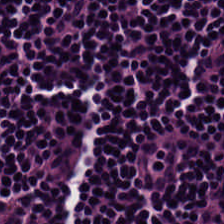Hematoxylin and eosin.
Lymphocytes.
